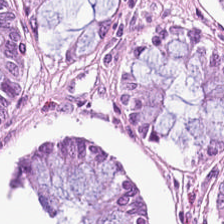Q: What tissue type is shown here?
A: The field shows non-neoplastic colon mucosa.
